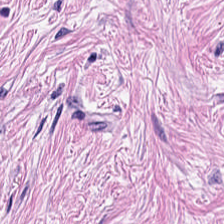Predominant tissue = tumor stroma.
